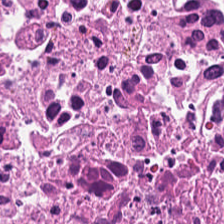Hematoxylin-and-eosin stained section.
The tissue is cellular debris.
